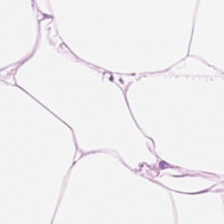Formalin-fixed paraffin-embedded section · hematoxylin-and-eosin stained section · brightfield microscopy. Histology → adipose.
